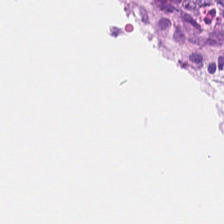Hematoxylin and eosin.
Predominant tissue: normal colonic mucosa.
